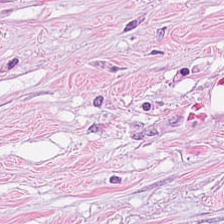Showing tumor-associated stroma.
